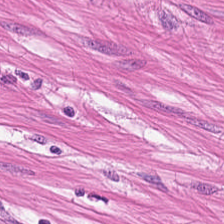H&E · 224×224 px patch · WSI patch — {"tissue_type": "smooth-muscle tissue"}
